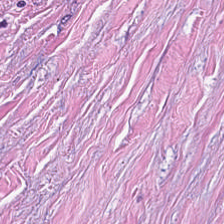H&E stain. Cancer-associated stroma.
